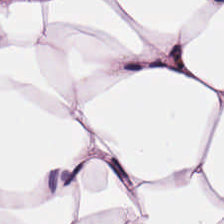224×224 px tile; H&E-stained tissue section.
This field is adipose.
